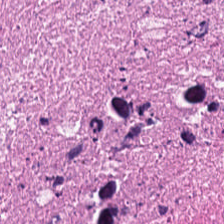0.5 microns per pixel; formalin-fixed paraffin-embedded section; hematoxylin-and-eosin stained section.
The tissue here is cellular debris.
